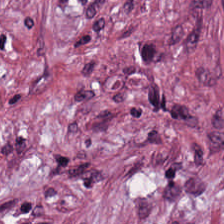Q: What tissue type is shown here?
A: This is tumor-associated stroma.
